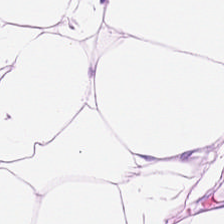Hematoxylin-and-eosin section: adipose tissue.
